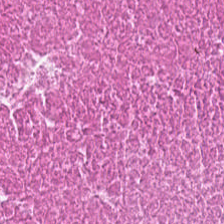Hematoxylin-and-eosin stained section. Impression → necrotic debris.
